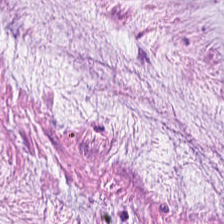H&E stain. 0.5 µm per pixel. Whole-slide-image patch.
Tissue: mucin.
